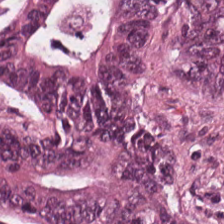The tissue here is tumor epithelium.
